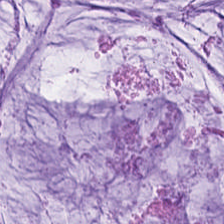Hematoxylin-and-eosin stained section — Finding → mucus.
